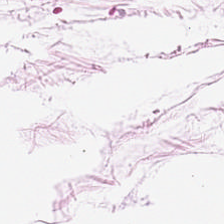H&E.
Showing adipose.
